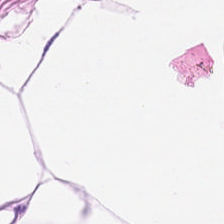224×224 pixel tile. Formalin-fixed paraffin-embedded section. H&E stain.
Showing fat tissue.
